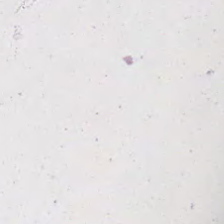0.5 µm/px · H&E stain.
Background (no tissue).
